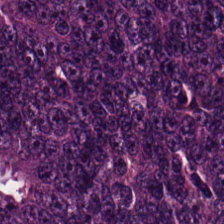The tissue class is tumor epithelium.
